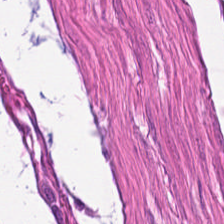Hematoxylin-and-eosin section: muscularis.
